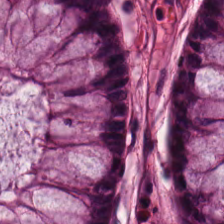0.5 µm/px; H&E; brightfield microscopy — Tissue = normal colon mucosa.
